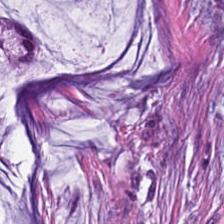Hematoxylin and eosin.
Q: What does this patch show?
A: Mucus.
